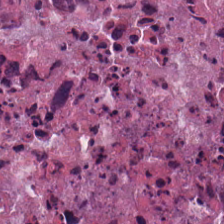224×224 pixel tile · hematoxylin-and-eosin stained section.
This patch shows debris.
